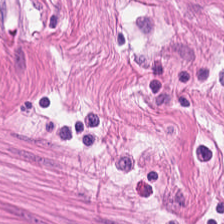Stain: hematoxylin-and-eosin stained section.
Resolution: 0.5 µm per pixel.
Tissue: smooth-muscle tissue.
